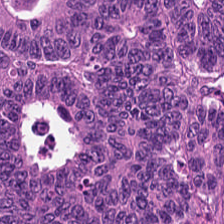Formalin-fixed paraffin-embedded section · H&E · WSI patch.
Impression — malignant epithelium.
